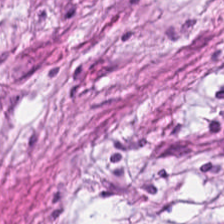H&E stain — Histology → cancer-associated stroma.
